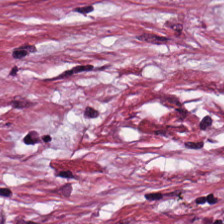Stain: hematoxylin-and-eosin stained section.
Tile size: 224×224 px tile.
Tissue: desmoplastic stroma.
